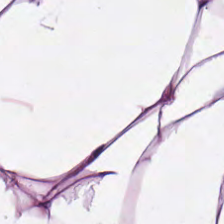H&E — Q: What is shown in this field?
A: The field shows fat tissue.
